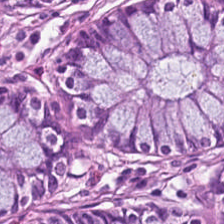FFPE tissue section. Brightfield microscopy. Hematoxylin-and-eosin stained section — The predominant tissue is normal colonic mucosa.
